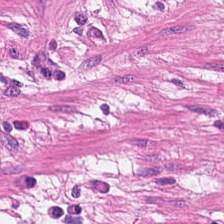WSI patch. Hematoxylin and eosin. 0.5 microns per pixel — Smooth muscle.
